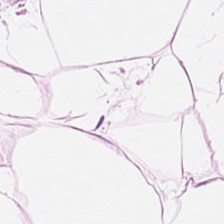H&E stain. 0.5 µm/px. 224×224 px patch.
This field is adipose tissue.
